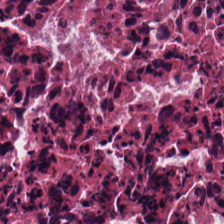Hematoxylin and eosin — Tissue class = cellular debris.
